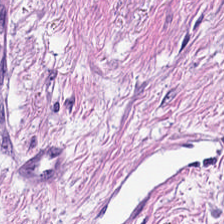Hematoxylin and eosin.
{"tissue_type": "smooth muscle"}
